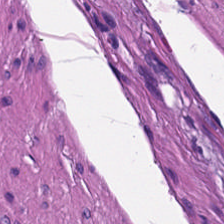The classification is smooth muscle.
